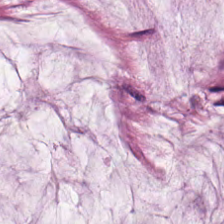Hematoxylin-and-eosin stained section; whole-slide-image patch; 224×224 px tile — Impression — extracellular mucin.
